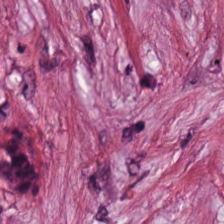Hematoxylin and eosin — This patch shows cancer-associated stroma.
